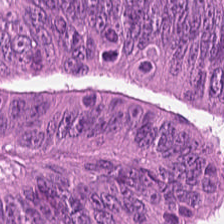0.5 µm per pixel. Hematoxylin and eosin. FFPE tissue section.
The tissue class is adenocarcinoma.
